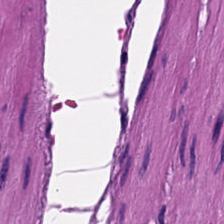Predominant tissue — smooth-muscle tissue.
